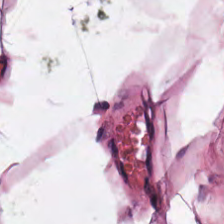Brightfield · hematoxylin and eosin · FFPE — {"tissue_type": "fat tissue"}
